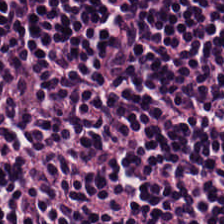0.5 µm per pixel · 224×224 px patch · H&E stain — Q: What tissue is shown?
A: This is lymphocyte aggregate.
